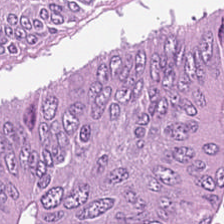Hematoxylin-and-eosin stained section.
Tissue type — malignant epithelium.
